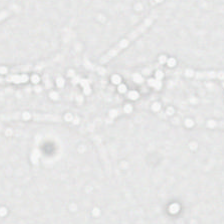Stain: H&E stain.
Content: no tissue.
